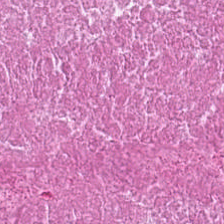Hematoxylin and eosin — Q: What tissue type is shown here?
A: It is necrotic debris.
